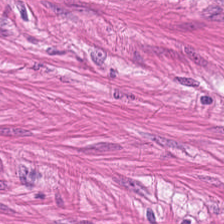Brightfield microscopy; H&E; FFPE — The predominant tissue is muscularis.
